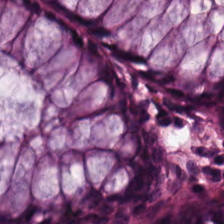H&E-stained tissue section — Tissue type — non-neoplastic colon mucosa.
